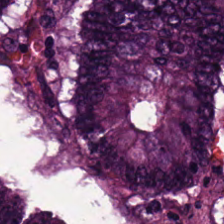Hematoxylin and eosin; 224×224 pixel tile; 0.5 microns per pixel — Predominantly tumor epithelium.
